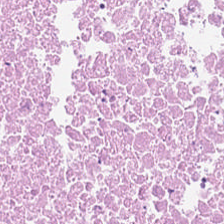Stain: H&E stain.
Acquisition: brightfield microscopy.
Tissue type: necrotic debris.
